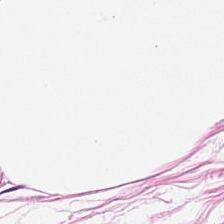224×224 pixel tile · H&E.
{"tissue_type": "adipose tissue"}
